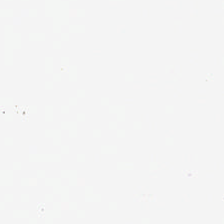Hematoxylin-and-eosin stained section.
The classification is background (no tissue).
